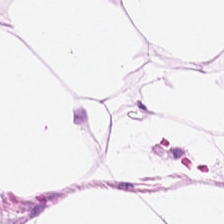H&E stain — Histology → adipose tissue.
